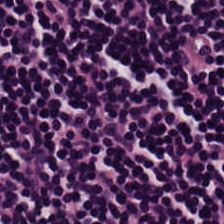This field is lymphocytes.
